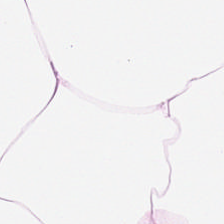Q: Identify the tissue.
A: It is adipocytes.
